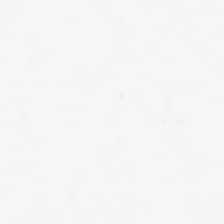H&E stain. The classification is empty background.
